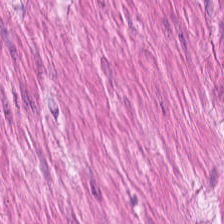H&E.
Tissue type = muscularis.
